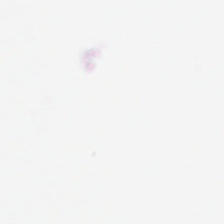Q: What is shown in this field?
A: This is empty background.
